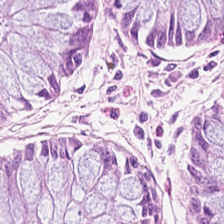H&E-stained tissue section showing normal colonic mucosa.
